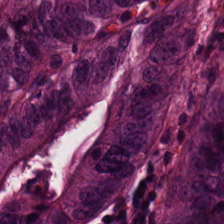224×224 px patch · H&E stain. The tissue here is tumor epithelium.
